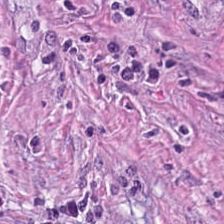H&E-stained tissue section — The tissue here is cancer-associated stroma.
